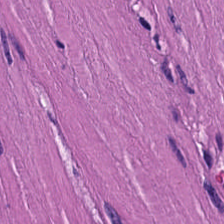Q: What is shown in this field?
A: It is smooth-muscle tissue.
